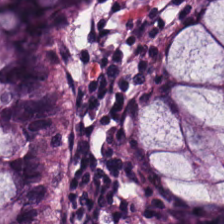H&E-stained tissue section. Formalin-fixed paraffin-embedded section.
Finding — benign colonic mucosa.
